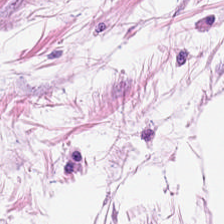224×224 px patch · hematoxylin and eosin · brightfield microscopy.
Adipocytes.
